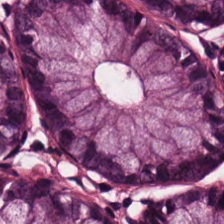H&E-stained tissue section.
This field is normal colonic mucosa.
